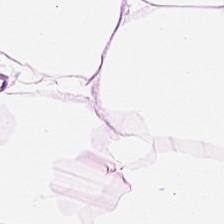FFPE tissue section. 224×224 pixel tile. Hematoxylin-and-eosin stained section. Q: Classify this patch.
A: The field shows adipose.
